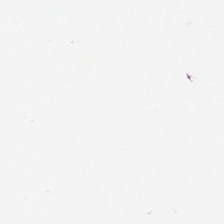Background.
